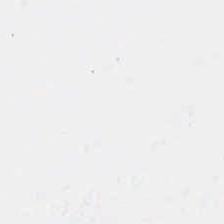Hematoxylin-and-eosin stained section.
Background — no tissue in this field.
